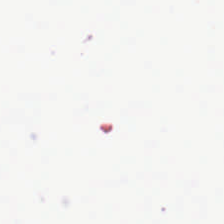Hematoxylin and eosin — Background — no tissue in this field.
